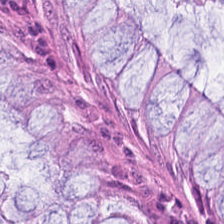H&E-stained tissue section.
Q: What is shown in this field?
A: It is normal colonic mucosa.
